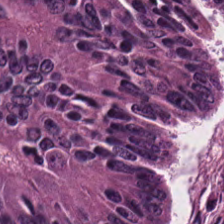Predominant tissue = malignant epithelium.
